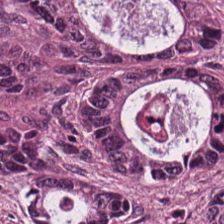H&E.
Q: What does this patch show?
A: Malignant epithelium.
